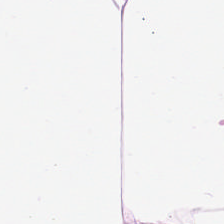Stain: H&E stain.
Resolution: 0.5 µm/px.
Tissue type: adipose tissue.
